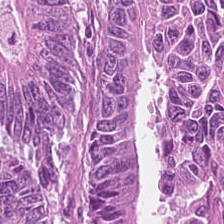H&E-stained tissue section. Tissue type: tumor epithelium.
